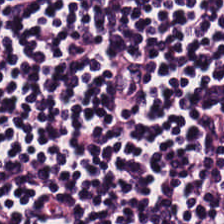20× equivalent magnification. 224×224 px patch. H&E-stained tissue section — Impression — lymphocytes.
